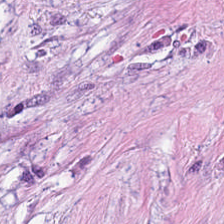H&E-stained tissue section. FFPE. 0.5 microns per pixel.
Classification — desmoplastic stroma.
